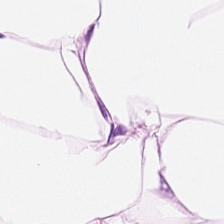H&E stain.
Predominantly fat tissue.
